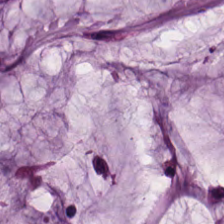0.5 µm/px. H&E stain — Predominant tissue: extracellular mucin.
